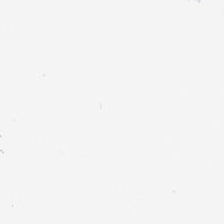Whole-slide-image patch · H&E-stained tissue section.
Empty field — background (no tissue).
